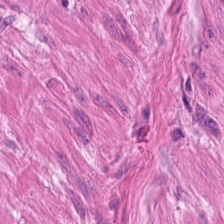H&E-stained section; the field shows muscularis.
